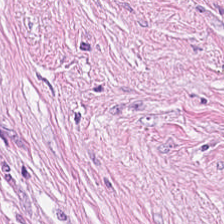Stain: H&E.
Tile size: 224×224 pixel tile.
Acquisition: whole-slide-image patch.
Tissue type: cancer-associated stroma.
